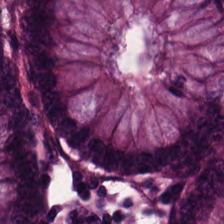Classification = benign colonic mucosa.
